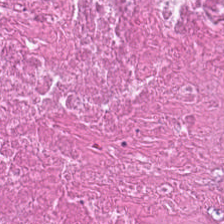Predominant tissue = cellular debris.
